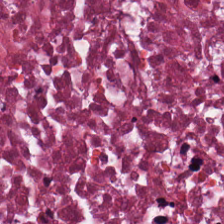H&E; WSI patch; FFPE tissue section — Predominantly cellular debris.
